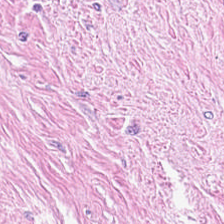Hematoxylin and eosin.
The tissue here is tumor stroma.
